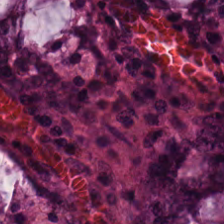Hematoxylin-and-eosin stained section.
Impression → non-neoplastic colon mucosa.
